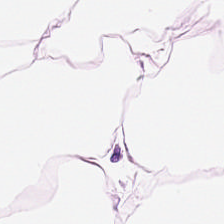Stain: hematoxylin-and-eosin stained section.
Tissue class: adipose.
